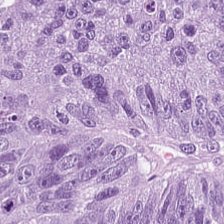FFPE tissue section; whole-slide-image patch; H&E stain.
Q: What tissue is shown?
A: It is tumor epithelium.
